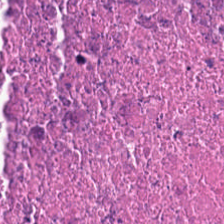Formalin-fixed paraffin-embedded section. Hematoxylin and eosin.
This field is cellular debris.
